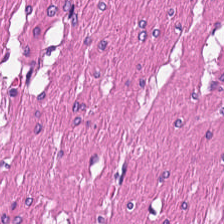H&E. The tissue here is muscularis.
